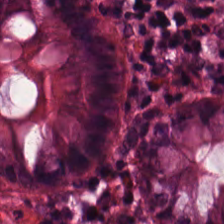Hematoxylin and eosin — The tissue is benign colonic mucosa.
